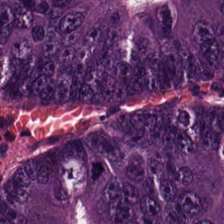Hematoxylin-and-eosin stained section. Whole-slide-image patch. Tissue type: colorectal adenocarcinoma epithelium.
